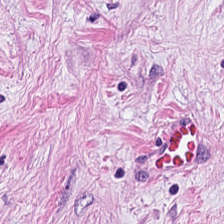224×224 pixel tile · H&E stain. {"tissue_type": "desmoplastic stroma"}
